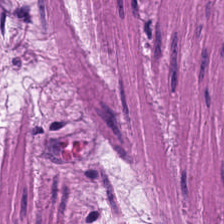224×224 pixel tile. Hematoxylin-and-eosin stained section.
Q: What tissue type is shown here?
A: The field shows muscularis.
